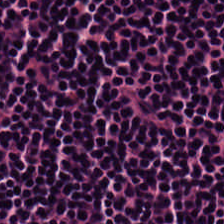Q: Identify the tissue.
A: Lymphocytes.
